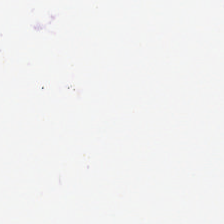H&E; formalin-fixed paraffin-embedded section; 224×224 px tile — Empty background.
